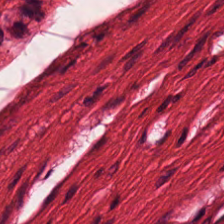Hematoxylin-and-eosin stained section. This patch shows smooth muscle.
